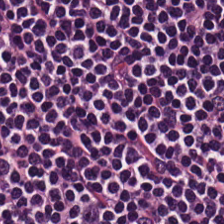Tissue = lymphoid infiltrate.
